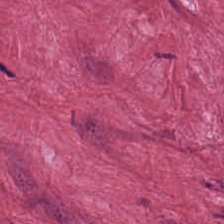H&E-stained tissue section · FFPE tissue section · brightfield microscopy. Q: Classify this patch.
A: Tumor-associated stroma.
